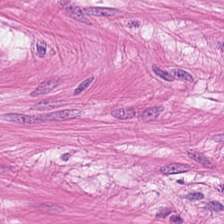Hematoxylin and eosin · whole-slide-image patch · 224×224 px tile — This patch shows smooth-muscle tissue.
